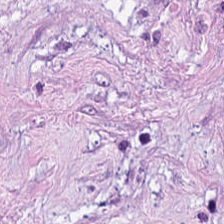FFPE tissue section; hematoxylin and eosin — The tissue type is cancer-associated stroma.
